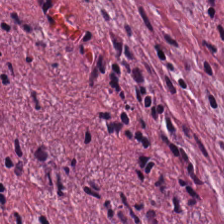224×224 pixel tile · hematoxylin-and-eosin stained section — Predominant tissue: tumor-associated stroma.
